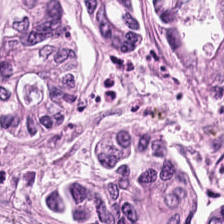Q: What is shown here?
A: Malignant epithelium.
